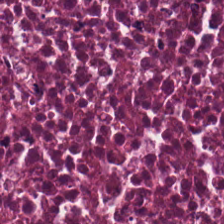Stain: H&E.
Classification: necrotic debris.
